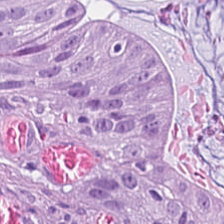Tissue class — tumor epithelium.
